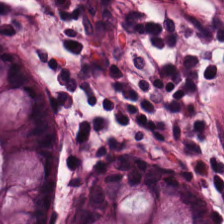H&E stain — The predominant tissue is normal colonic mucosa.
